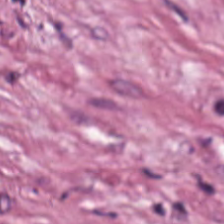0.5 µm per pixel. Hematoxylin and eosin.
Showing tumor stroma.
